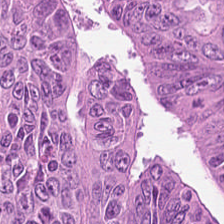Hematoxylin and eosin. Tissue — colorectal adenocarcinoma epithelium.
